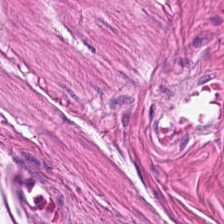WSI patch · 20× equivalent magnification · H&E stain.
Smooth muscle.
